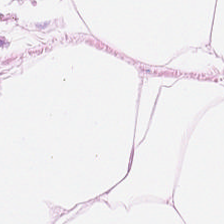H&E-stained tissue section — Q: What type of tissue is this?
A: It is adipose tissue.
